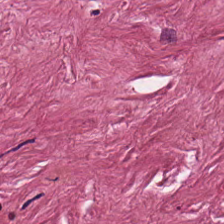Hematoxylin-and-eosin stained section. Finding — desmoplastic stroma.
